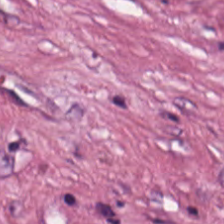Hematoxylin and eosin · 0.5 µm/px. {"tissue_type": "tumor stroma"}
